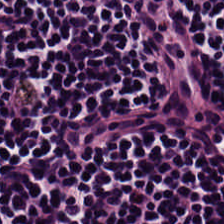224×224 pixel tile; H&E.
{"tissue_type": "lymphocytes"}
